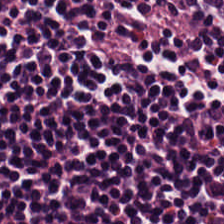224×224 pixel tile · hematoxylin-and-eosin stained section — Q: What tissue type is shown here?
A: This is lymphocytic infiltrate.
